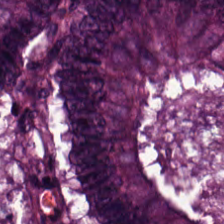H&E stain. Formalin-fixed paraffin-embedded section. 224×224 pixel tile — Q: What is the predominant tissue type?
A: Colorectal adenocarcinoma.
